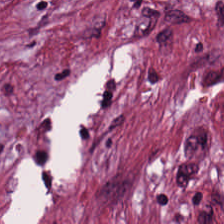The tissue class is tumor-associated stroma.
